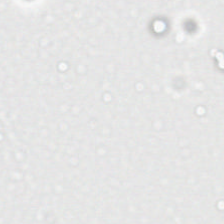0.5 µm/px; hematoxylin-and-eosin stained section.
Background — no tissue in this field.
